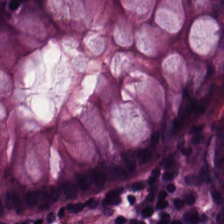This patch shows normal colon mucosa.
